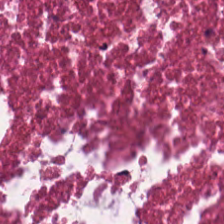224×224 px tile. Brightfield microscopy. Hematoxylin-and-eosin stained section.
This field is necrotic debris.
